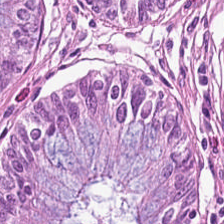H&E-stained tissue section. {"tissue_type": "normal colonic mucosa"}
